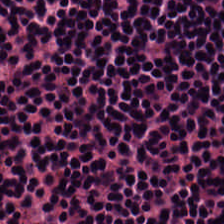Brightfield; 0.5 µm per pixel; H&E.
Tissue: lymphoid infiltrate.
